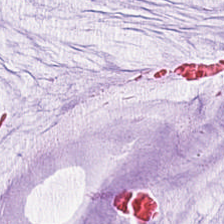Q: What is the predominant tissue type?
A: The field shows mucus.
